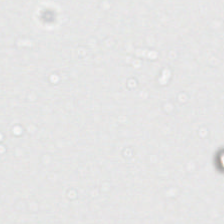This patch shows background.
